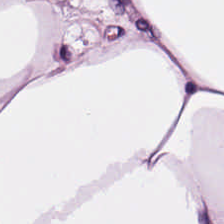H&E stain — This field is fat tissue.
